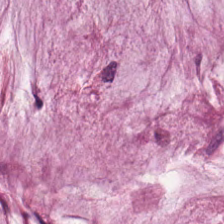Tissue type = mucus.
